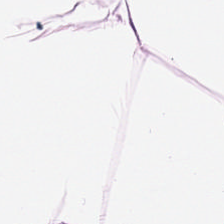H&E-stained tissue section. Q: Classify this patch.
A: It is adipose.
